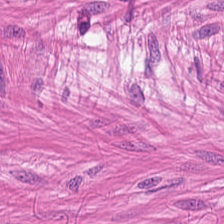0.5 µm per pixel. H&E stain. Q: What is shown in this field?
A: The field shows smooth-muscle tissue.
